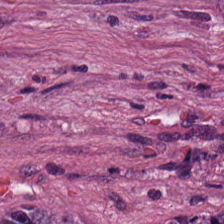H&E stain. The tissue type is desmoplastic stroma.
